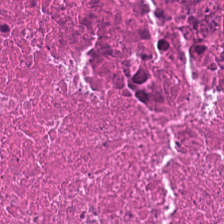H&E stain — Impression → debris.
